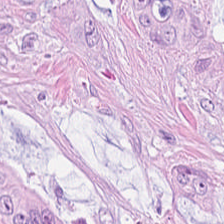Whole-slide-image patch; H&E — Q: What is the predominant tissue type?
A: This is tumor epithelium.
